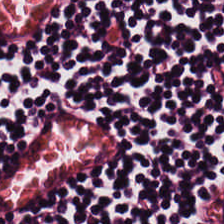Brightfield microscopy · hematoxylin and eosin · 224×224 px tile.
Tissue = lymphoid infiltrate.
